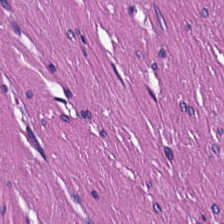H&E-stained tissue section. Smooth muscle.
